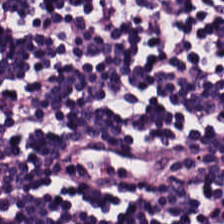H&E-stained tissue section. Predominantly lymphocyte aggregate.
